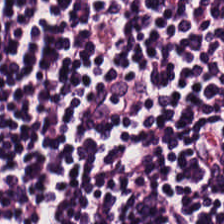Stain: hematoxylin and eosin.
Resolution: 0.5 µm per pixel.
Tissue class: lymphoid infiltrate.
